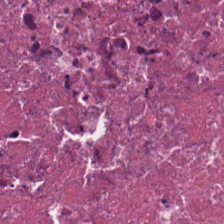Hematoxylin-and-eosin stained section. Histology → necrotic debris.
